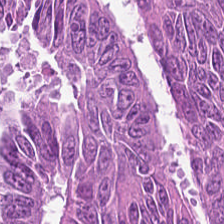H&E-stained tissue section.
Q: What does this patch show?
A: The field shows malignant epithelium.
